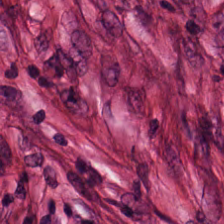Tissue class = tumor stroma.
